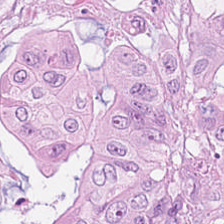Hematoxylin-and-eosin stained section — Histology — colorectal adenocarcinoma.
